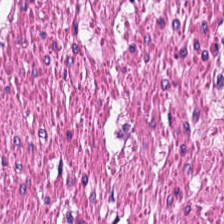H&E. 224×224 px patch.
The tissue class is muscularis.
